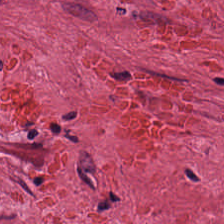Stain: H&E.
Preparation: FFPE.
Tile size: 224×224 pixel tile.
Tissue type: tumor stroma.
